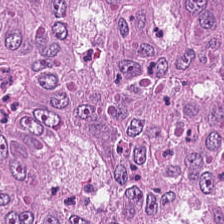H&E-stained tissue section showing colorectal adenocarcinoma epithelium.
